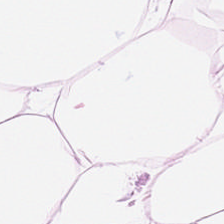Stain: H&E-stained tissue section.
Preparation: FFPE tissue section.
Classification: adipose tissue.
